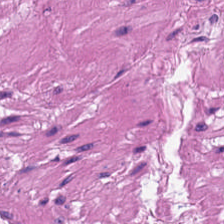Brightfield microscopy. H&E — Predominant tissue — muscularis.
